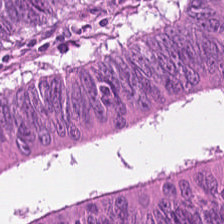Predominant tissue: adenocarcinoma.
